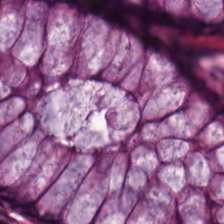Q: Classify this patch.
A: It is non-neoplastic colon mucosa.
